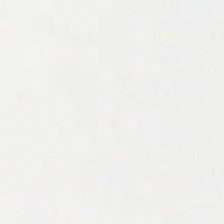Brightfield. 0.5 µm per pixel. Hematoxylin-and-eosin stained section. This patch shows background.
